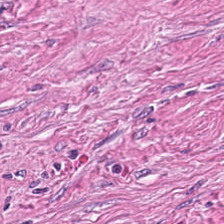0.5 microns per pixel · hematoxylin-and-eosin stained section · 224×224 px tile. Predominantly desmoplastic stroma.
